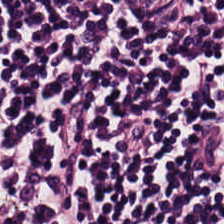H&E. 224×224 px tile — Finding → lymphocytes.
